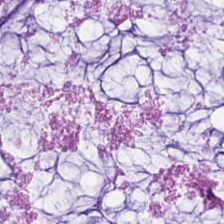Hematoxylin and eosin — Showing mucus.
